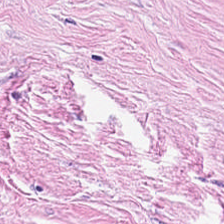Stain: H&E stain.
Resolution: 0.5 µm per pixel.
Acquisition: brightfield.
Predominant tissue: cancer-associated stroma.
